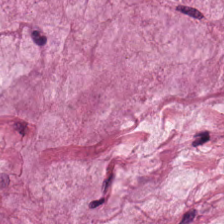H&E-stained tissue section. This patch shows mucin.
